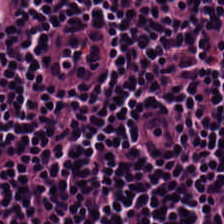H&E. 0.5 µm/px.
This field is lymphocyte aggregate.
